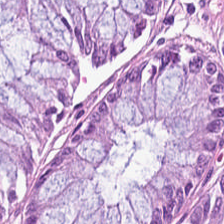FFPE; H&E stain. The predominant tissue is normal colon mucosa.
